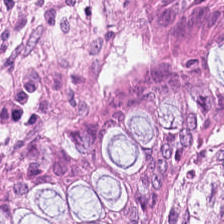Hematoxylin and eosin. 224×224 px patch. WSI patch. Finding → normal colon mucosa.
